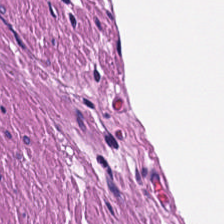H&E.
Q: Identify the tissue.
A: It is muscularis.
